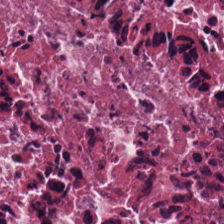H&E.
{"tissue_type": "necrotic debris"}
